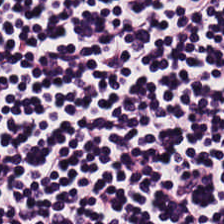Hematoxylin and eosin; brightfield microscopy.
Predominant tissue = lymphocyte aggregate.
